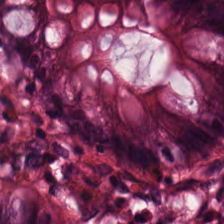224×224 pixel tile · H&E-stained tissue section.
Histology — benign colonic mucosa.
